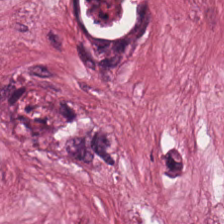H&E — The tissue is cancer-associated stroma.
